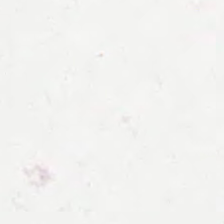FFPE tissue section · 224×224 px tile · H&E-stained tissue section. Background (no tissue).
